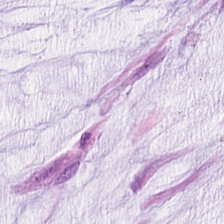This patch shows mucus.
